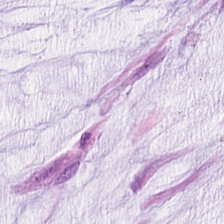This patch shows mucus.
